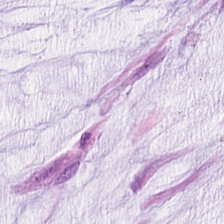This patch shows mucus.
